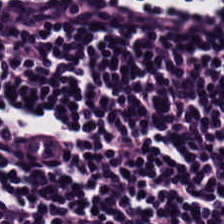Stain: hematoxylin and eosin.
Acquisition: brightfield.
Predominant tissue: lymphoid infiltrate.
